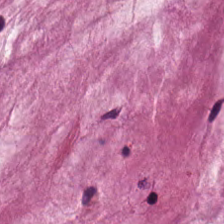The predominant tissue is mucus.
